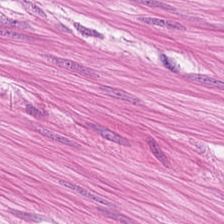H&E-stained tissue section.
Classification = smooth-muscle tissue.
